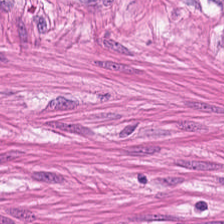Predominantly smooth muscle.
